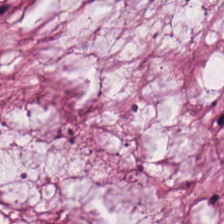H&E stain.
Mucin.
